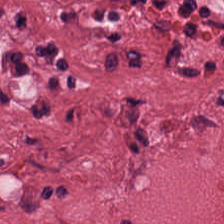0.5 µm/px; H&E stain. Finding → cancer-associated stroma.
